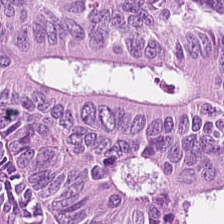H&E. 20× equivalent magnification — Q: Classify this patch.
A: It is malignant epithelium.
